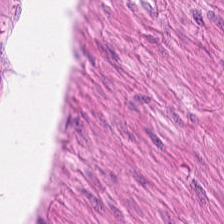Hematoxylin and eosin — Finding → muscularis.
